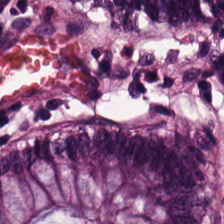Brightfield microscopy. Hematoxylin and eosin — Q: What is the predominant tissue type?
A: The field shows normal colon mucosa.
